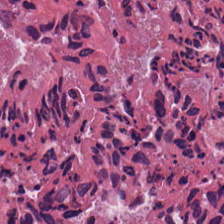Hematoxylin-and-eosin stained section. 0.5 µm/px.
Predominant tissue = debris.
